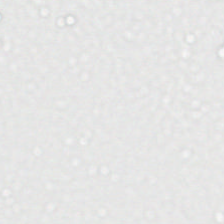H&E-stained tissue section. Q: What is shown in this field?
A: Background (no tissue).
